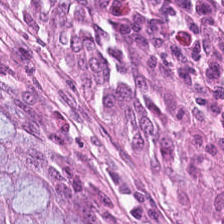H&E.
Impression → non-neoplastic colon mucosa.
